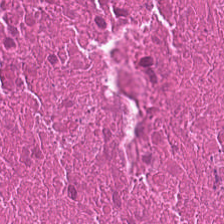Stain: H&E-stained tissue section.
Tissue type: cellular debris.
